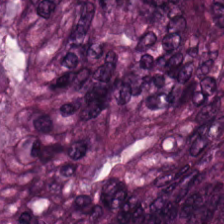FFPE tissue section. 0.5 microns per pixel. H&E stain — Q: What tissue type is shown here?
A: Tumor epithelium.
